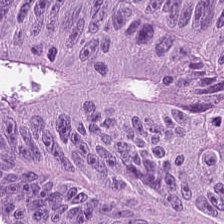Hematoxylin-and-eosin stained section. Classification = colorectal adenocarcinoma epithelium.
